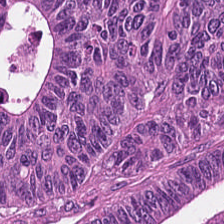Hematoxylin and eosin — Tissue: adenocarcinoma.
